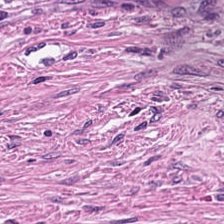Hematoxylin and eosin — The predominant tissue is tumor-associated stroma.
